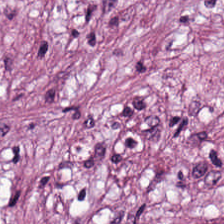The tissue here is tumor stroma.
